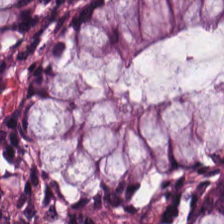224×224 pixel tile · 0.5 µm per pixel · H&E — Classification — benign colonic mucosa.
